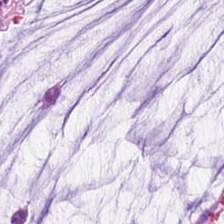Stain: H&E.
Acquisition: brightfield.
Tile size: 224×224 px tile.
Tissue type: extracellular mucin.
